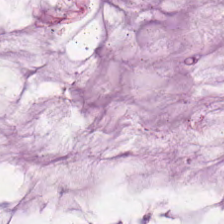H&E stain.
Q: What is shown in this field?
A: It is extracellular mucin.
